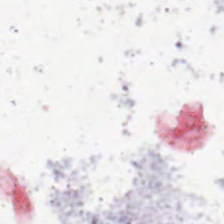H&E stain. 0.5 µm per pixel — Content = background (no tissue).
